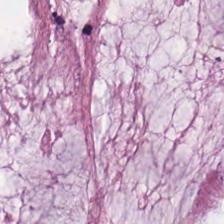Stain: hematoxylin-and-eosin stained section.
Preparation: FFPE.
Tissue: extracellular mucin.
